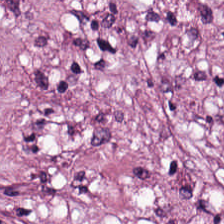Hematoxylin and eosin; 0.5 µm/px.
The tissue here is tumor-associated stroma.
